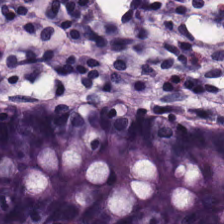{"tissue_type": "non-neoplastic colon mucosa"}
